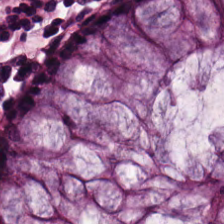H&E stain · 224×224 px tile.
Q: What type of tissue is this?
A: Normal colonic mucosa.
